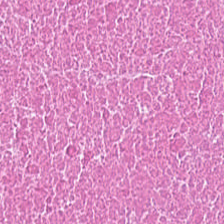Hematoxylin and eosin. Debris.
